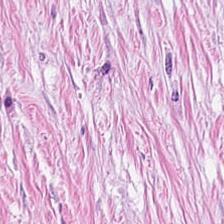H&E-stained tissue section. 224×224 px patch. FFPE. The predominant tissue is tumor-associated stroma.
